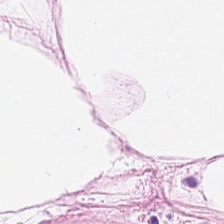Predominant tissue — adipocytes.
